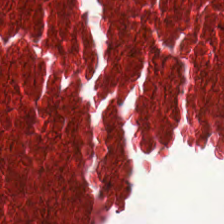Stain: hematoxylin-and-eosin stained section.
Predominant tissue: debris.
